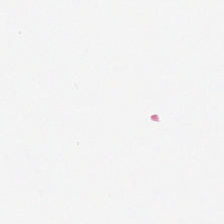H&E — Classification = no tissue.
